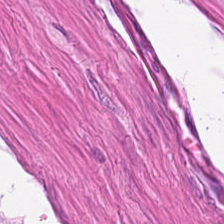The predominant tissue is smooth muscle.
